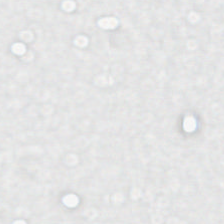Hematoxylin and eosin; 224×224 px tile; 0.5 microns per pixel. Q: What does this patch show?
A: It is empty background.
